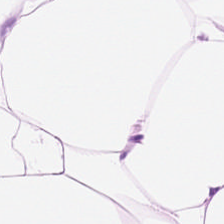H&E-stained tissue section; 20× equivalent magnification — This patch shows adipose tissue.
